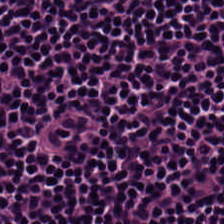Hematoxylin and eosin; WSI patch; FFPE tissue section. The predominant tissue is lymphoid infiltrate.
